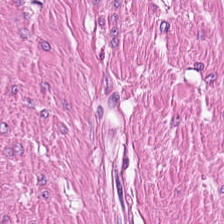Hematoxylin and eosin · FFPE tissue section — Classification = smooth-muscle tissue.
